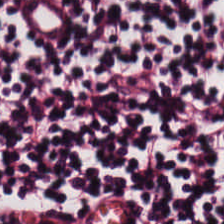0.5 microns per pixel; H&E stain — Histology → lymphocyte aggregate.
